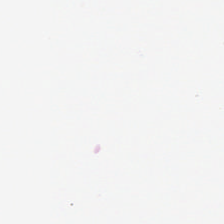Hematoxylin and eosin.
Empty field — empty background.
